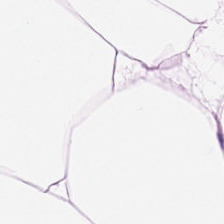0.5 microns per pixel; H&E — Classification — adipocytes.
